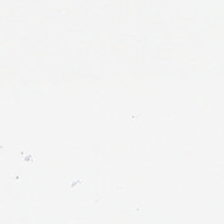Stain: H&E.
Field content: background (no tissue).
